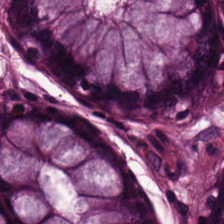H&E-stained tissue section. The classification is benign colonic mucosa.
